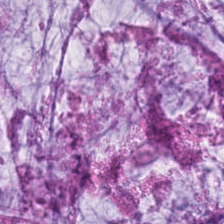0.5 microns per pixel. H&E stain. FFPE.
This patch shows extracellular mucin.
